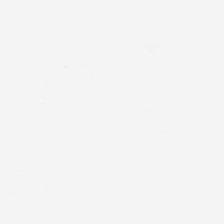H&E. 0.5 µm/px. 224×224 pixel tile.
Classification: background.
